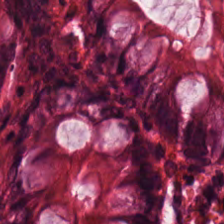Hematoxylin and eosin.
Finding — non-neoplastic colon mucosa.
